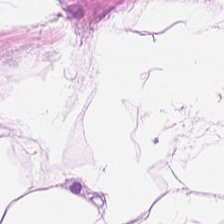Hematoxylin and eosin · formalin-fixed paraffin-embedded section — Q: What does this patch show?
A: Fat tissue.
